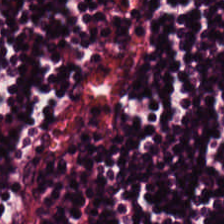20× equivalent magnification. Brightfield microscopy. Hematoxylin and eosin.
{"tissue_type": "lymphocytic infiltrate"}
